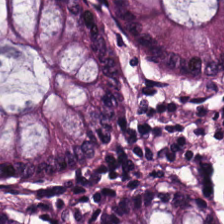Hematoxylin and eosin. WSI patch. The classification is benign colonic mucosa.
